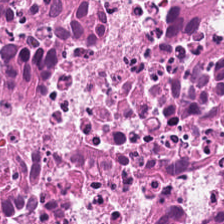Tissue type: cellular debris.
